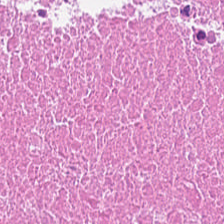H&E stain. This field is cellular debris.
